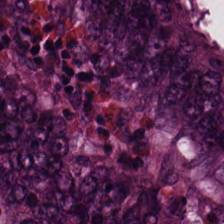H&E.
Q: Classify this patch.
A: This is malignant epithelium.
